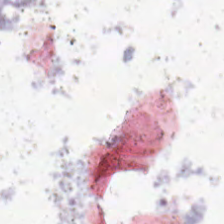H&E.
This field is background (no tissue).
